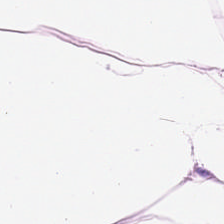Hematoxylin and eosin. 20× equivalent magnification. The predominant tissue is adipose.
